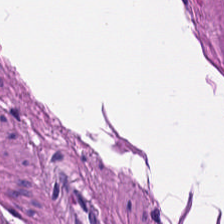Stain: hematoxylin and eosin.
Tissue type: smooth-muscle tissue.
